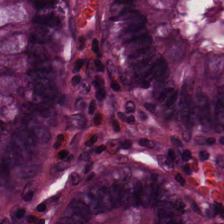H&E patch showing non-neoplastic colon mucosa.
